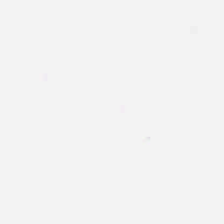H&E-stained tissue section · 224×224 px tile — Field content — background (no tissue).
